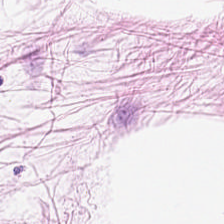Hematoxylin-and-eosin stained section. 224×224 px tile. Brightfield. The tissue class is adipose.
